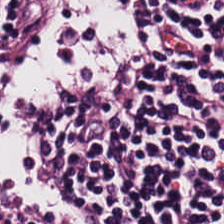H&E stain · WSI patch — Tissue type = lymphocytic infiltrate.
